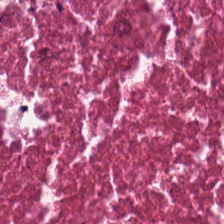The tissue here is cellular debris.
